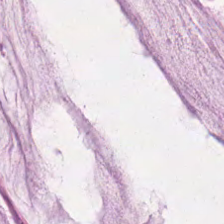H&E-stained tissue section.
Tissue = mucus.
